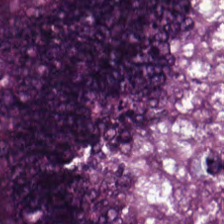224×224 px patch. Whole-slide-image patch. Hematoxylin-and-eosin stained section.
Tumor epithelium.
